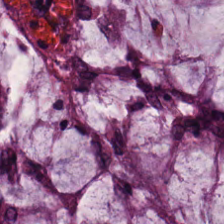Hematoxylin and eosin. {"tissue_type": "normal colonic mucosa"}
